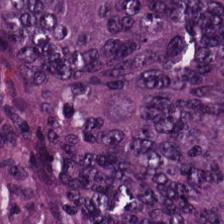Stain: H&E stain.
Preparation: formalin-fixed paraffin-embedded section.
Tile size: 224×224 pixel tile.
Tissue class: malignant epithelium.
